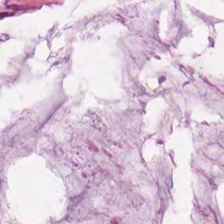Hematoxylin and eosin.
Finding — mucus.
